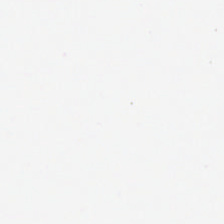Stain: H&E.
Resolution: 20× equivalent magnification.
Classification: background (no tissue).
